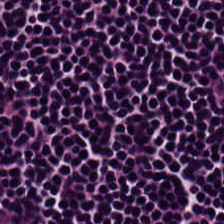Stain: H&E-stained tissue section.
Tissue: lymphocytes.
